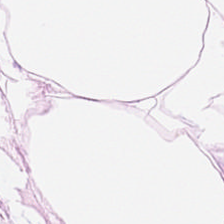Hematoxylin-and-eosin stained section.
Tissue type = adipose.
